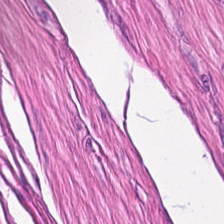H&E stain.
{"tissue_type": "smooth muscle"}
